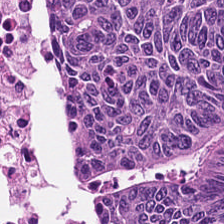H&E. Classification — tumor epithelium.
